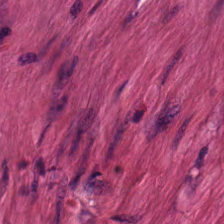Q: What tissue type is shown here?
A: It is smooth-muscle tissue.
